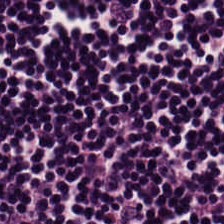This patch shows lymphoid infiltrate.
